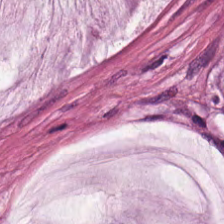H&E-stained tissue section — Mucus.
